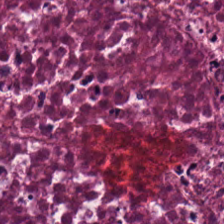Hematoxylin and eosin — The predominant tissue is necrotic debris.
